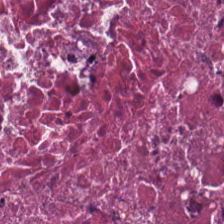H&E.
The tissue is cellular debris.
